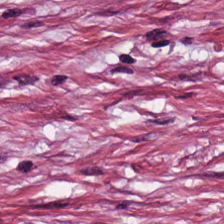The tissue class is desmoplastic stroma.
